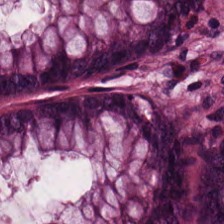The tissue class is non-neoplastic colon mucosa.
